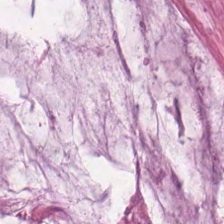Stain: hematoxylin-and-eosin stained section.
Tissue: mucin.
